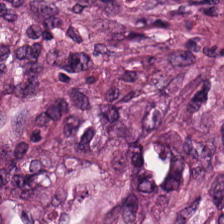H&E stain. The predominant tissue is tumor-associated stroma.
